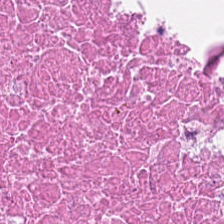H&E-stained tissue section. 224×224 px tile — Histology — cellular debris.
